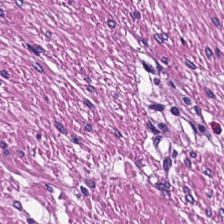Hematoxylin and eosin.
Q: Classify this patch.
A: This is muscularis.
